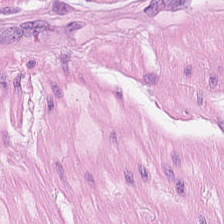The classification is smooth muscle.
